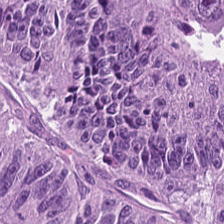Stain: H&E stain.
Tile size: 224×224 pixel tile.
Preparation: FFPE tissue section.
Tissue: adenocarcinoma.
